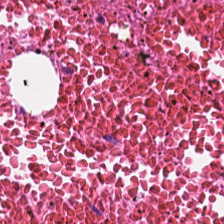FFPE · H&E.
Tissue type = cellular debris.
